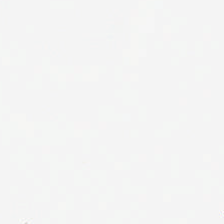Hematoxylin-and-eosin stained section.
Finding → background.
